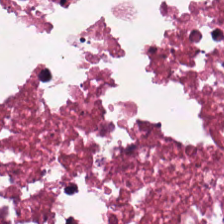Formalin-fixed paraffin-embedded section · hematoxylin-and-eosin stained section. Tissue type: debris.
